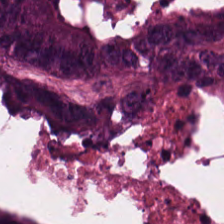H&E.
Predominantly colorectal adenocarcinoma.
